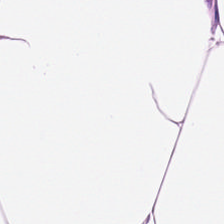Predominantly fat tissue.
